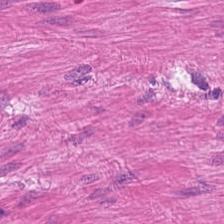Tissue = muscularis.
